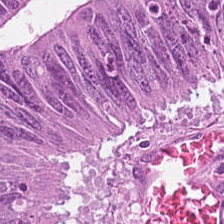H&E.
Classification — malignant epithelium.
